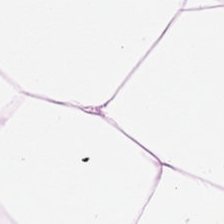Predominantly fat tissue.
